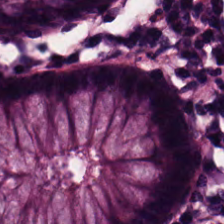H&E — Q: What tissue type is shown here?
A: It is non-neoplastic colon mucosa.
